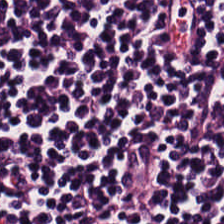Stain: H&E stain.
Classification: lymphocytes.
